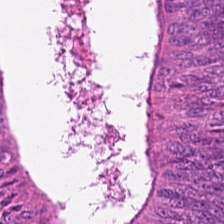Formalin-fixed paraffin-embedded section. Hematoxylin and eosin — Malignant epithelium.
